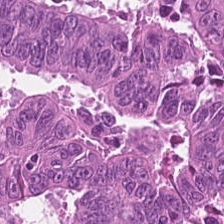Hematoxylin-and-eosin section: tumor epithelium.
